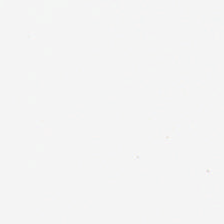0.5 µm per pixel. Hematoxylin-and-eosin stained section.
Empty background.
